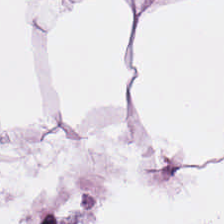H&E stain.
The tissue is adipocytes.
